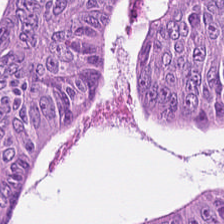Hematoxylin-and-eosin stained section · 0.5 microns per pixel · 224×224 pixel tile. Finding — malignant epithelium.
